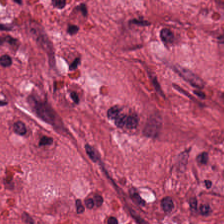20× equivalent magnification; formalin-fixed paraffin-embedded section; H&E stain. Q: What is shown in this field?
A: It is tumor stroma.
